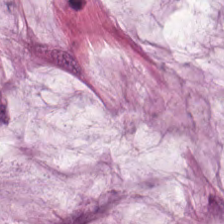Brightfield microscopy · FFPE · H&E.
Tissue type: extracellular mucin.
